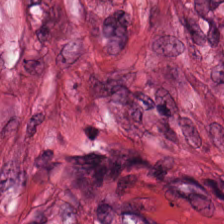H&E-stained tissue section.
This field is desmoplastic stroma.
